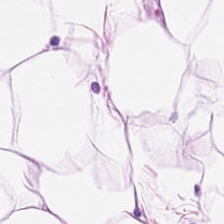Whole-slide-image patch; 224×224 px patch; H&E-stained tissue section. Predominant tissue = adipose.
